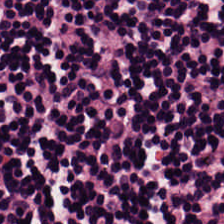H&E stain — Impression → lymphoid infiltrate.
